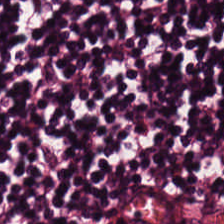H&E. 224×224 px tile. The tissue here is lymphocytic infiltrate.
